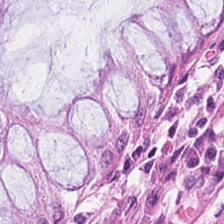Stain: H&E stain.
Acquisition: WSI patch.
Tile size: 224×224 pixel tile.
Classification: normal colon mucosa.
